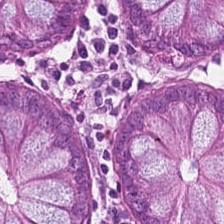H&E.
The tissue here is non-neoplastic colon mucosa.
